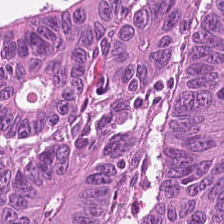H&E. {"tissue_type": "malignant epithelium"}
